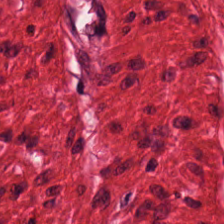Showing muscularis.
